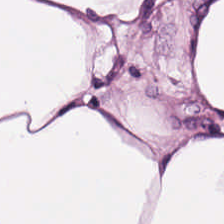224×224 px tile · H&E-stained tissue section. The predominant tissue is adipose.
